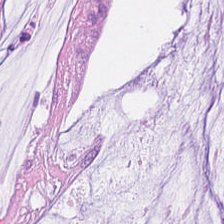H&E.
Finding → extracellular mucin.
